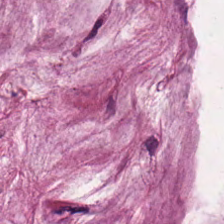H&E-stained tissue section. Predominant tissue: mucus.
